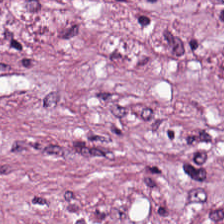H&E-stained tissue section. Whole-slide-image patch.
Predominant tissue = cancer-associated stroma.
